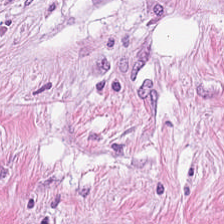Hematoxylin-and-eosin stained section · formalin-fixed paraffin-embedded section · 20× equivalent magnification — Showing cancer-associated stroma.
